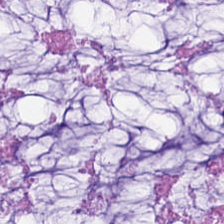Stain: hematoxylin and eosin.
Predominant tissue: mucus.
